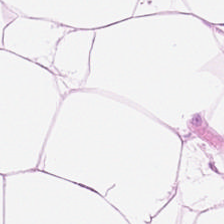H&E stain.
The tissue is adipose tissue.
